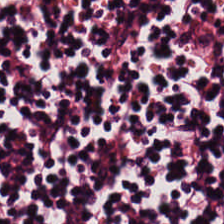Stain: hematoxylin-and-eosin stained section.
Resolution: 0.5 microns per pixel.
Tissue type: lymphocyte aggregate.
